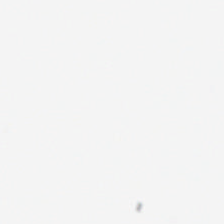FFPE; hematoxylin and eosin.
Q: What is shown in this field?
A: This is empty background.
